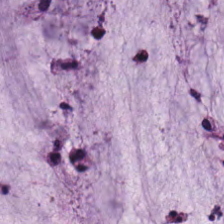Formalin-fixed paraffin-embedded section; hematoxylin-and-eosin stained section. Q: What does this patch show?
A: The field shows mucin.
